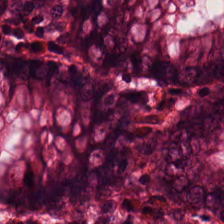Histology → non-neoplastic colon mucosa.
